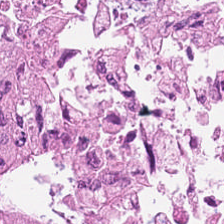Hematoxylin and eosin.
The tissue class is adenocarcinoma.
